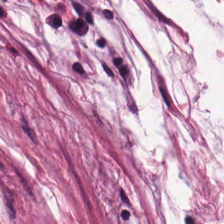Stain: H&E.
Tissue: mucus.
